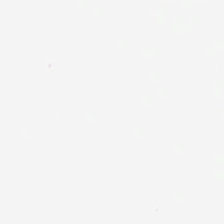Content: empty background.
